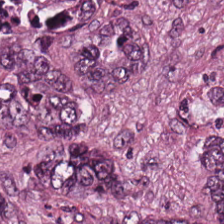Predominant tissue: adenocarcinoma.
